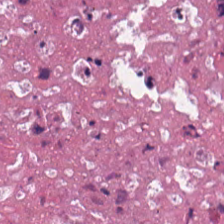Predominant tissue = necrotic debris.
